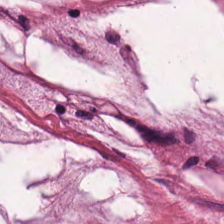Hematoxylin and eosin. {"tissue_type": "mucin"}
